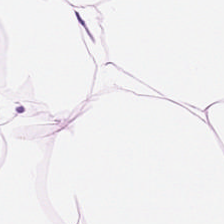The tissue type is adipose tissue.
